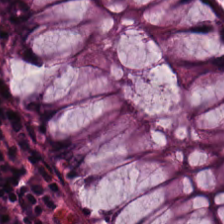The predominant tissue is non-neoplastic colon mucosa.
